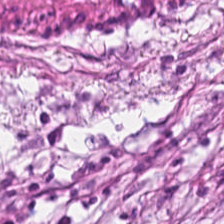H&E-stained tissue section. The tissue type is desmoplastic stroma.
